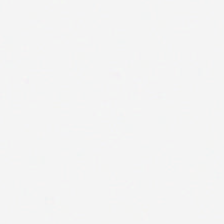This field is background (no tissue).
